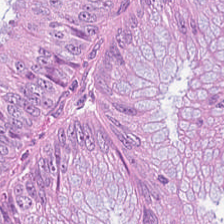Hematoxylin and eosin — Showing adenocarcinoma.
